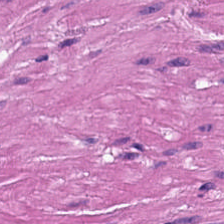0.5 µm/px; hematoxylin-and-eosin stained section; brightfield microscopy.
Classification: smooth-muscle tissue.
